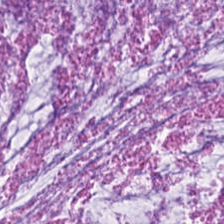Hematoxylin and eosin.
Finding — mucin.
